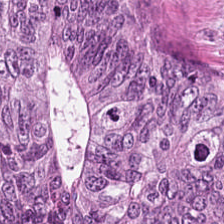224×224 px patch. Hematoxylin and eosin. Q: What is shown here?
A: It is colorectal adenocarcinoma.
